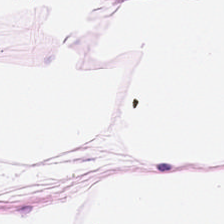Hematoxylin and eosin · brightfield.
This field is fat tissue.
